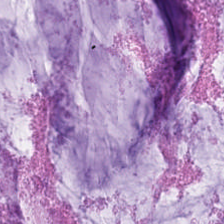Hematoxylin-and-eosin stained section.
Predominantly extracellular mucin.
